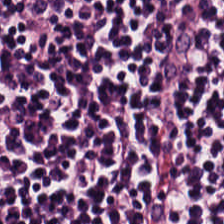H&E.
Tissue type: lymphocyte aggregate.
